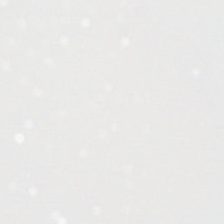224×224 pixel tile · hematoxylin-and-eosin stained section.
Background — no tissue in this field.
